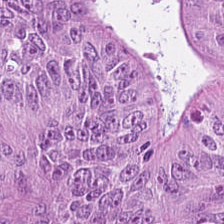Histology → malignant epithelium.
